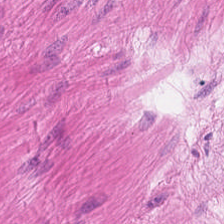224×224 pixel tile · hematoxylin and eosin · 0.5 µm/px.
Q: Classify this patch.
A: The field shows smooth muscle.
